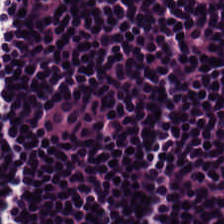0.5 µm per pixel · hematoxylin and eosin.
Impression — lymphoid infiltrate.
